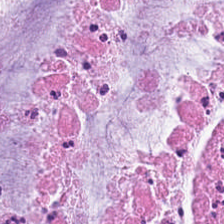Mucin.
